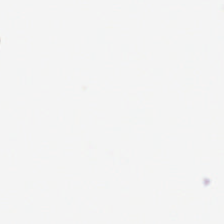Field content — empty background.
